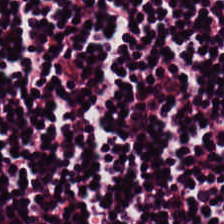WSI patch; hematoxylin-and-eosin stained section. Predominant tissue — lymphocytes.
